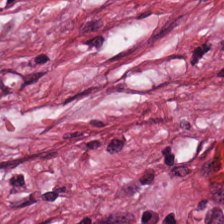20× equivalent magnification · H&E. This patch shows tumor-associated stroma.
